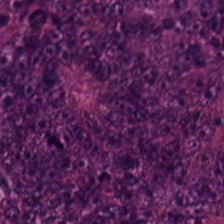FFPE. Brightfield microscopy. Hematoxylin-and-eosin stained section. Q: What does this patch show?
A: It is colorectal adenocarcinoma.
